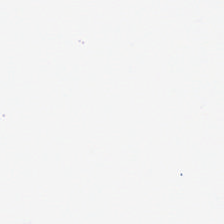Background (no tissue).
